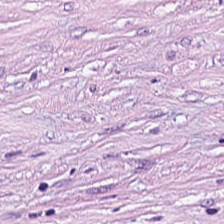H&E; 0.5 µm/px; formalin-fixed paraffin-embedded section.
Tissue — tumor stroma.
